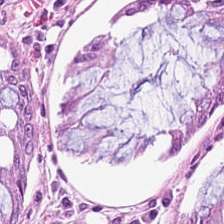H&E-stained tissue section · 0.5 microns per pixel. This patch shows normal colon mucosa.
